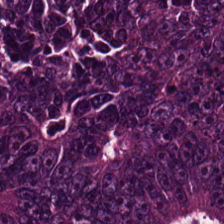Hematoxylin and eosin; brightfield microscopy.
Colorectal adenocarcinoma epithelium.
